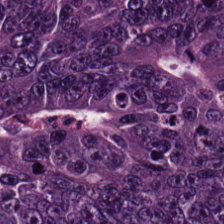Tissue type = malignant epithelium.
